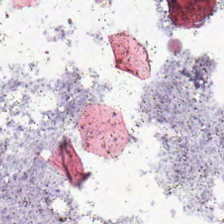H&E-stained tissue section — Q: What does this patch show?
A: The field shows background.
